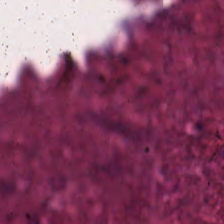H&E. 224×224 px tile.
Q: Classify this patch.
A: Necrotic debris.
